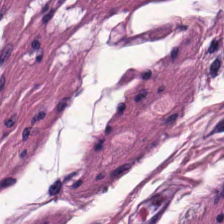H&E stain — Tissue type: muscularis.
